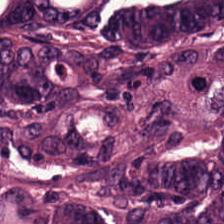Stain: H&E.
Resolution: 0.5 µm per pixel.
Tissue type: tumor epithelium.
